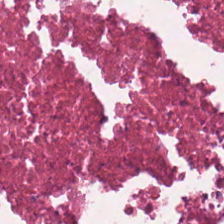Hematoxylin-and-eosin stained section.
This field is necrotic debris.
